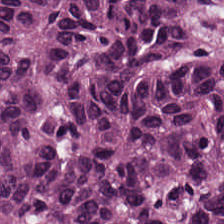H&E-stained tissue section. Whole-slide-image patch. 224×224 px tile. {"tissue_type": "colorectal adenocarcinoma"}
